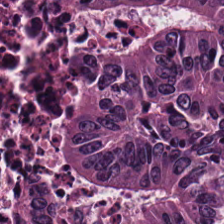H&E. Predominant tissue: malignant epithelium.
